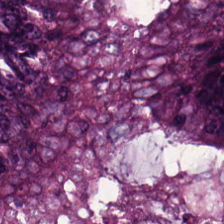Hematoxylin-and-eosin stained section · 224×224 px tile. Q: What type of tissue is this?
A: This is tumor epithelium.
